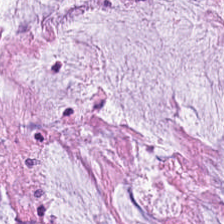H&E — Tissue class — mucin.
